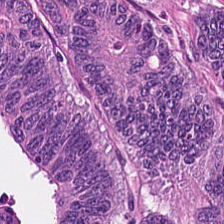The tissue here is colorectal adenocarcinoma.
